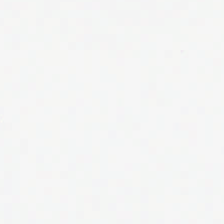H&E stain — Background — no tissue in this field.
